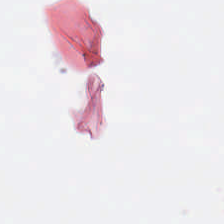Stain: H&E-stained tissue section.
Field content: empty background.
